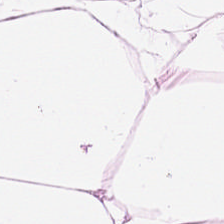H&E-stained tissue section — This patch shows fat tissue.
